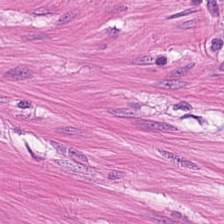Finding — smooth muscle.
